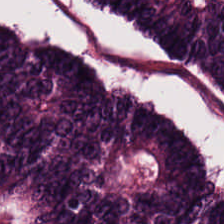H&E. Brightfield microscopy — Predominantly adenocarcinoma.
